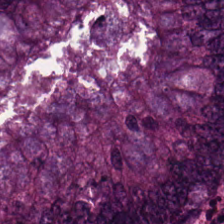224×224 px tile · hematoxylin and eosin. Predominant tissue — colorectal adenocarcinoma epithelium.
